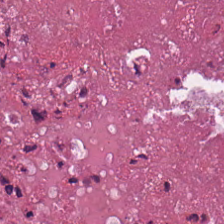Stain: H&E.
Tissue: cellular debris.
